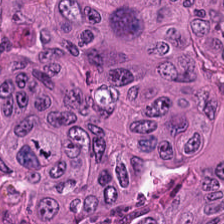The tissue here is tumor epithelium.
